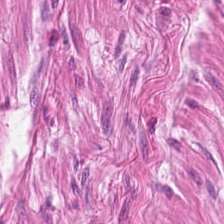Stain: H&E-stained tissue section.
Tissue class: muscularis.
